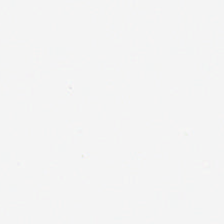Background — no tissue in this field.
